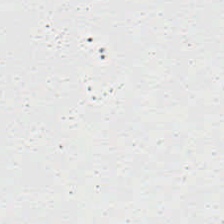H&E stain. Q: Classify this patch.
A: This is background.
